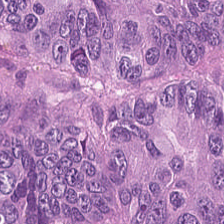H&E.
This field is adenocarcinoma.
